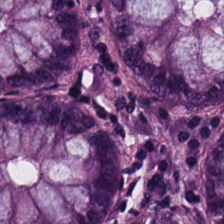Whole-slide-image patch. H&E stain. 0.5 µm/px — {"tissue_type": "normal colonic mucosa"}
